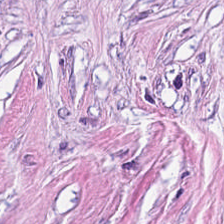FFPE tissue section. H&E. Q: What is shown in this field?
A: This is desmoplastic stroma.
